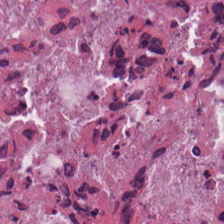H&E-stained tissue section · formalin-fixed paraffin-embedded section.
Showing necrotic debris.
